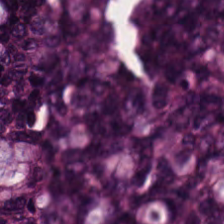H&E stain; 20× equivalent magnification. Showing adenocarcinoma.
